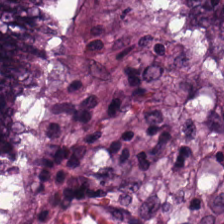Hematoxylin and eosin.
Tissue: malignant epithelium.
